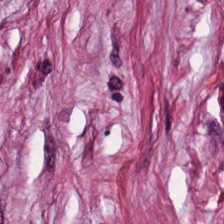0.5 microns per pixel; H&E-stained tissue section; 224×224 px tile — Showing desmoplastic stroma.
